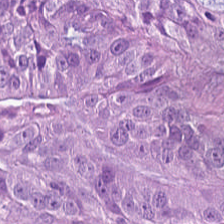Hematoxylin-and-eosin stained section.
Q: What is shown in this field?
A: Adenocarcinoma.
